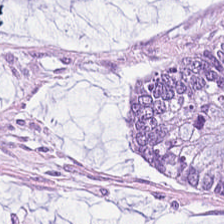Hematoxylin-and-eosin stained section. This patch shows mucin.
